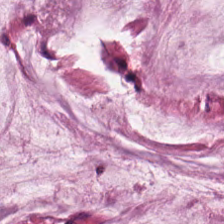H&E-stained tissue section.
The tissue type is mucin.
